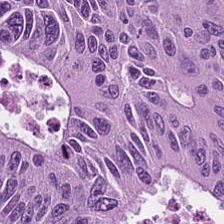Q: What type of tissue is this?
A: Tumor epithelium.
